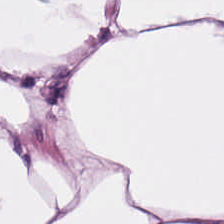Stain: H&E.
Predominant tissue: adipocytes.
